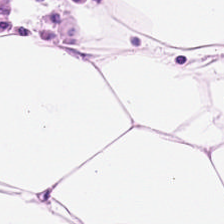H&E-stained section; the field shows fat tissue.
